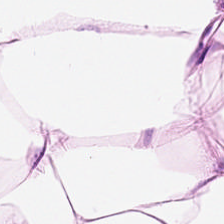Tissue = adipose.
